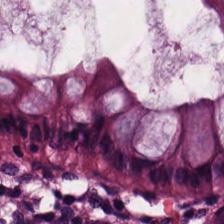H&E-stained tissue section; 20× equivalent magnification — Predominant tissue = normal colonic mucosa.
